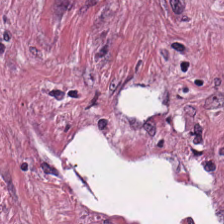H&E-stained tissue section. FFPE tissue section.
Tissue = desmoplastic stroma.
